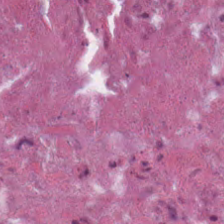0.5 µm/px; hematoxylin and eosin; FFPE. Cellular debris.
